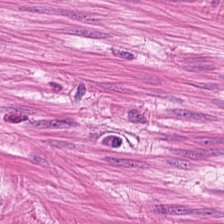H&E. Tissue type: muscularis.
